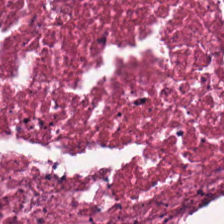224×224 px tile; hematoxylin-and-eosin stained section; brightfield — Predominant tissue = necrotic debris.
